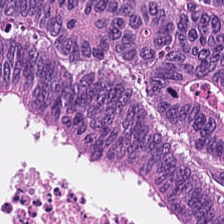Q: What tissue type is shown here?
A: The field shows malignant epithelium.
